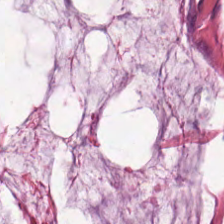H&E-stained section; the field shows mucin.
